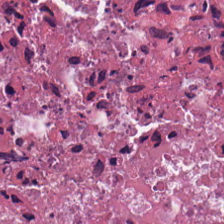FFPE · H&E · brightfield microscopy — Showing cellular debris.
